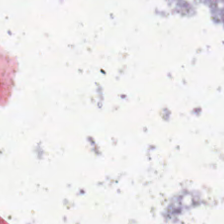No tissue.
